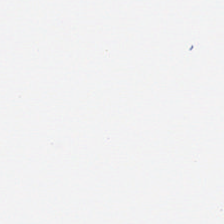Brightfield microscopy · H&E-stained tissue section. Content = background (no tissue).
